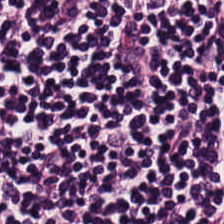Brightfield · 0.5 microns per pixel · H&E stain.
The tissue type is lymphocytic infiltrate.
